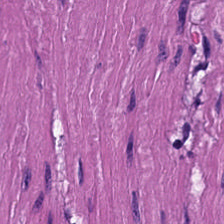Hematoxylin-and-eosin stained section. This patch shows muscularis.
